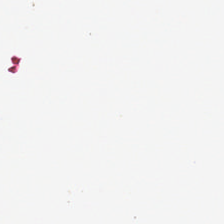H&E-stained tissue section.
Background — no tissue in this field.
